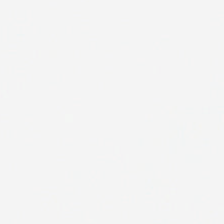Hematoxylin and eosin — {"content": "no tissue"}
